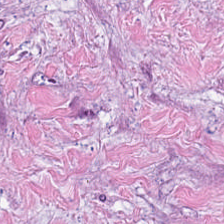Hematoxylin-and-eosin stained section. This field is tumor-associated stroma.
